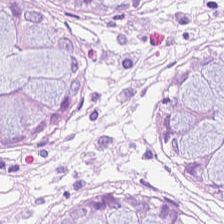H&E. The tissue here is normal colon mucosa.
